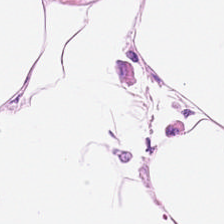H&E-stained tissue section — The predominant tissue is adipocytes.
